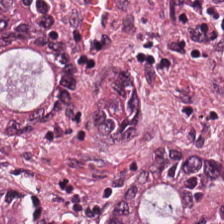H&E.
Predominantly malignant epithelium.
